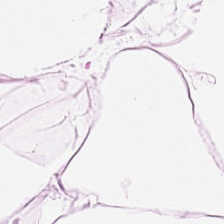Q: What is shown in this field?
A: It is adipose.
